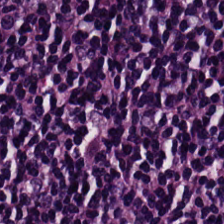Showing lymphocyte aggregate.
